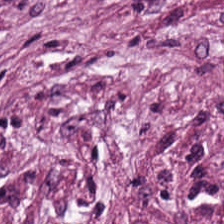Hematoxylin and eosin.
The classification is cancer-associated stroma.
